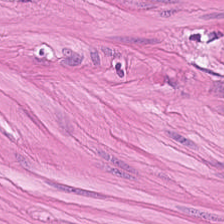Hematoxylin-and-eosin stained section · FFPE · 0.5 µm per pixel — {"tissue_type": "smooth-muscle tissue"}
